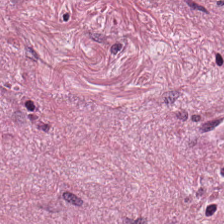H&E.
Tissue class: tumor-associated stroma.
